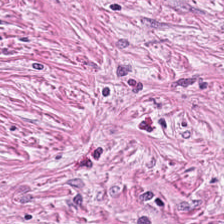Showing cancer-associated stroma.
